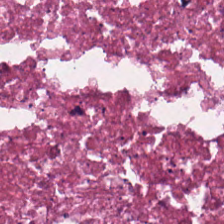Stain: hematoxylin and eosin.
Classification: necrotic debris.
